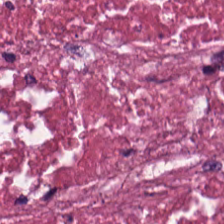Hematoxylin and eosin. FFPE tissue section. 224×224 pixel tile.
Impression → cellular debris.
